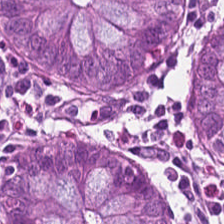Stain: H&E-stained tissue section.
Tissue: non-neoplastic colon mucosa.
